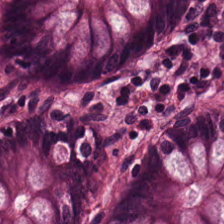Hematoxylin and eosin · formalin-fixed paraffin-embedded section. This patch shows normal colonic mucosa.
